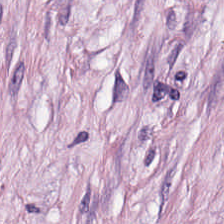H&E. This field is tumor stroma.
